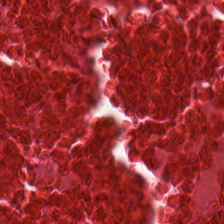FFPE. Hematoxylin and eosin. WSI patch.
Tissue = cellular debris.
